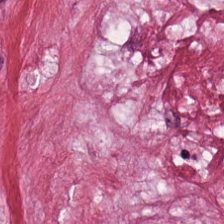Hematoxylin-and-eosin stained section.
Predominantly tumor-associated stroma.
